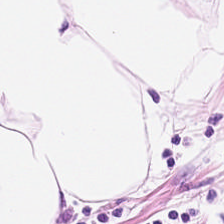H&E stain — Tissue — fat tissue.
